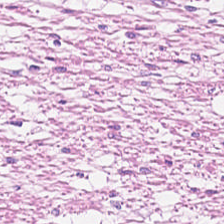H&E stain. Q: What tissue type is shown here?
A: It is smooth muscle.
